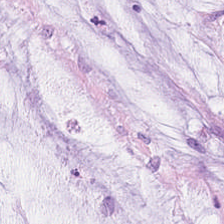Stain: H&E.
Tissue type: mucin.
